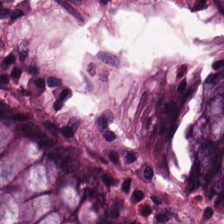H&E.
Tissue: non-neoplastic colon mucosa.
